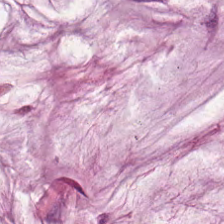Stain: hematoxylin-and-eosin stained section.
Classification: mucin.
